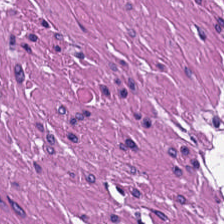Hematoxylin-and-eosin stained section. Brightfield microscopy. Classification: smooth muscle.
